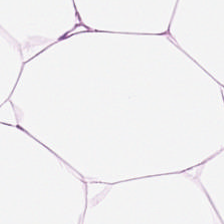H&E. 0.5 µm/px. 224×224 px patch. Tissue type: adipose tissue.
